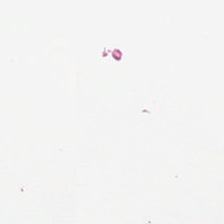224×224 px patch · hematoxylin-and-eosin stained section — No tissue.
